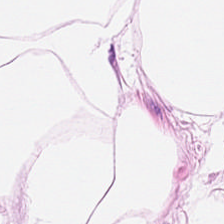Stain: hematoxylin-and-eosin stained section.
Preparation: formalin-fixed paraffin-embedded section.
Predominant tissue: fat tissue.
